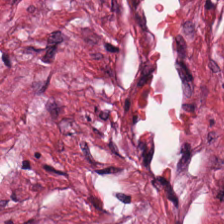{"tissue_type": "cancer-associated stroma"}
